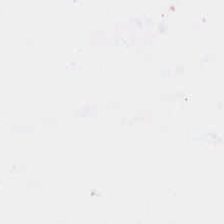H&E stain — This field is background (no tissue).
